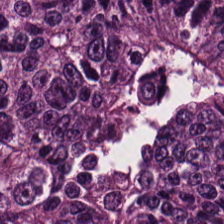Hematoxylin and eosin.
Finding → adenocarcinoma.
